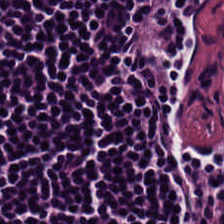0.5 µm/px · hematoxylin and eosin · 224×224 pixel tile.
Q: Classify this patch.
A: This is lymphocyte aggregate.
